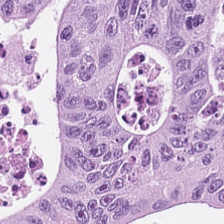FFPE; H&E stain — Tissue type: colorectal adenocarcinoma epithelium.
